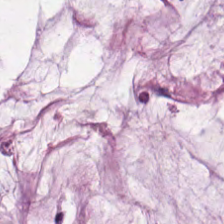Mucus.
